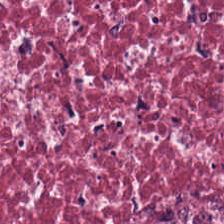224×224 px tile · 20× equivalent magnification · hematoxylin-and-eosin stained section. Predominant tissue — tumor-associated stroma.
